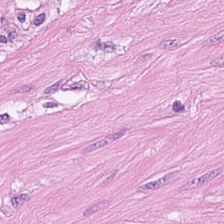Hematoxylin and eosin. Q: Identify the tissue.
A: The field shows smooth-muscle tissue.
